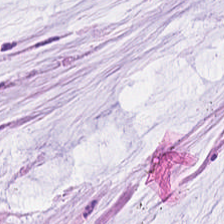H&E. Tissue type: mucus.
